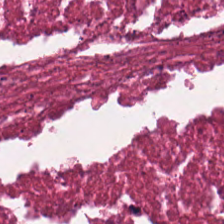H&E. Predominantly necrotic debris.
